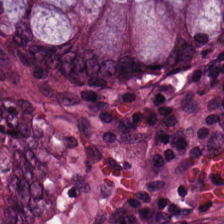Brightfield microscopy · H&E · 224×224 px patch. Q: What type of tissue is this?
A: It is normal colon mucosa.
